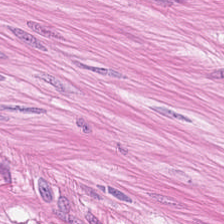H&E-stained tissue section.
Q: What is shown in this field?
A: This is muscularis.
